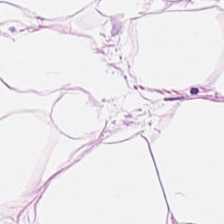Predominantly fat tissue.
